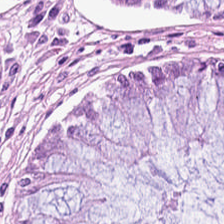H&E stain — Predominant tissue: normal colonic mucosa.
